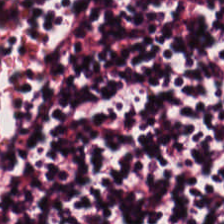Q: What does this patch show?
A: The field shows lymphocyte aggregate.
